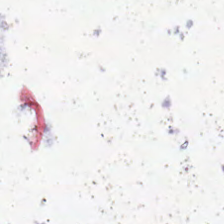No tissue present; background only.
